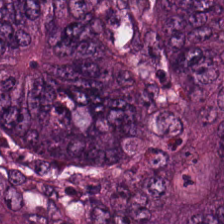Hematoxylin-and-eosin stained section. The predominant tissue is malignant epithelium.
